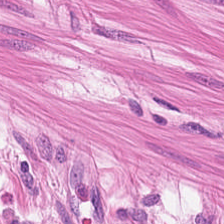H&E stain; formalin-fixed paraffin-embedded section. Showing smooth-muscle tissue.
